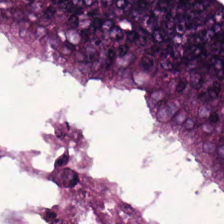Hematoxylin and eosin · FFPE tissue section — Showing malignant epithelium.
